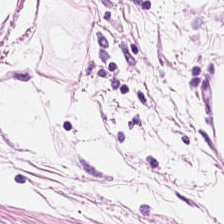H&E — This field is fat tissue.
